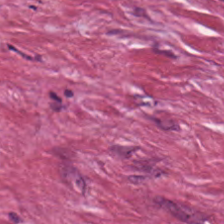Stain: hematoxylin-and-eosin stained section.
Preparation: formalin-fixed paraffin-embedded section.
Classification: desmoplastic stroma.
